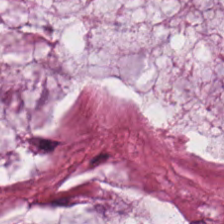H&E patch showing extracellular mucin.
